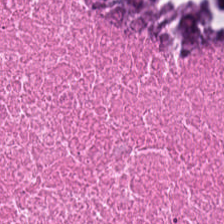Formalin-fixed paraffin-embedded section · hematoxylin-and-eosin stained section.
Tissue — debris.
